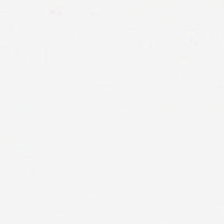FFPE. H&E stain. The field content is background (no tissue).
